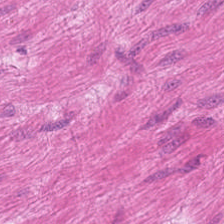H&E stain. Q: What type of tissue is this?
A: This is muscularis.
